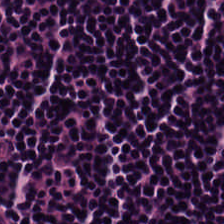H&E-stained section; the field shows lymphocyte aggregate.
